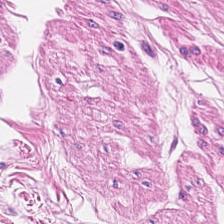Hematoxylin and eosin; 224×224 pixel tile — Smooth muscle.
